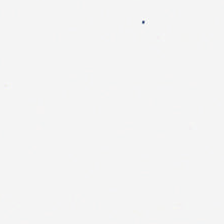Stain: H&E stain.
Field content: empty background.
